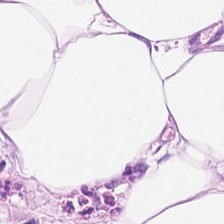Hematoxylin and eosin — Adipocytes.
